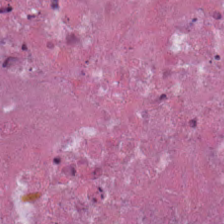0.5 microns per pixel; H&E — Classification — necrotic debris.
